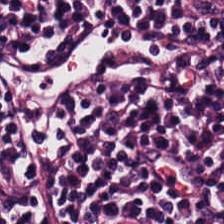H&E-stained section; the field shows lymphocytes.
